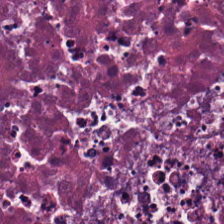0.5 µm/px · hematoxylin-and-eosin stained section.
Q: What is shown here?
A: The field shows necrotic debris.
